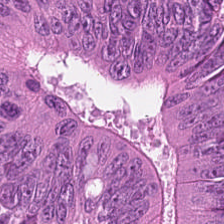Whole-slide-image patch. H&E-stained tissue section. 224×224 px patch.
Q: What is shown in this field?
A: Colorectal adenocarcinoma epithelium.
